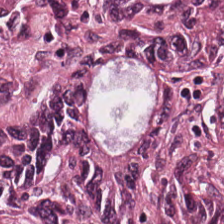Stain: hematoxylin-and-eosin stained section.
Tissue: malignant epithelium.
